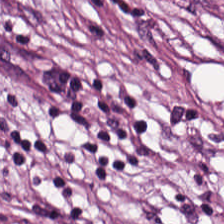Q: What is shown in this field?
A: It is cancer-associated stroma.
